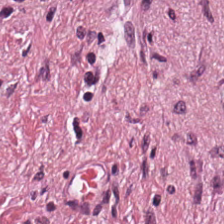The predominant tissue is desmoplastic stroma.
